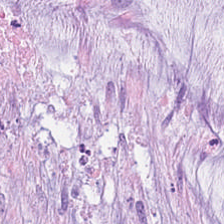H&E · brightfield — The predominant tissue is mucus.
